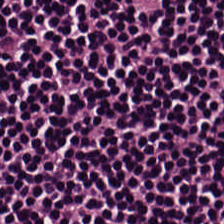Hematoxylin-and-eosin stained section. 0.5 µm per pixel. 224×224 pixel tile. Finding — lymphoid infiltrate.
